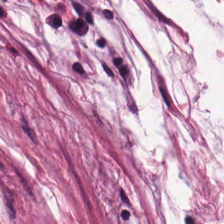FFPE tissue section. H&E. Whole-slide-image patch — Histology — mucin.
